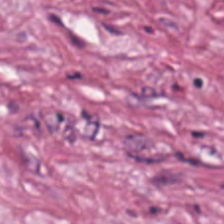224×224 px patch; hematoxylin and eosin — Classification: desmoplastic stroma.
